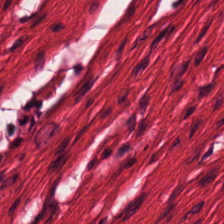Brightfield; hematoxylin-and-eosin stained section — Predominantly smooth-muscle tissue.
